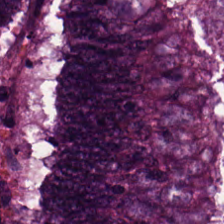Formalin-fixed paraffin-embedded section. Hematoxylin and eosin — The tissue type is malignant epithelium.
